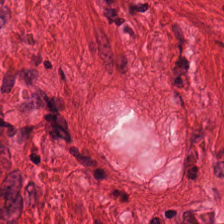H&E-stained tissue section — The predominant tissue is muscularis.
